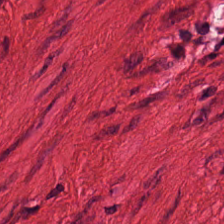H&E stain. Finding — smooth-muscle tissue.
